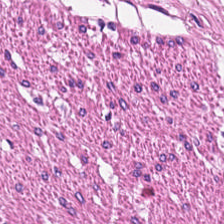Hematoxylin and eosin — Tissue class = muscularis.
